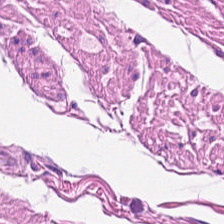Formalin-fixed paraffin-embedded section. 224×224 pixel tile. H&E.
Smooth-muscle tissue.
